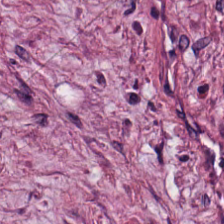WSI patch; hematoxylin-and-eosin stained section; 224×224 px tile.
Tissue class = desmoplastic stroma.
